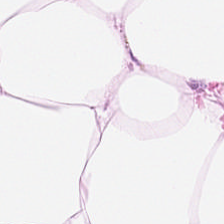Whole-slide-image patch · hematoxylin-and-eosin stained section. The predominant tissue is adipocytes.
